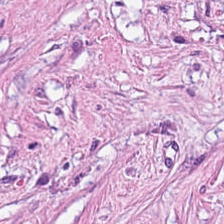Hematoxylin-and-eosin stained section. Tissue type — cancer-associated stroma.
